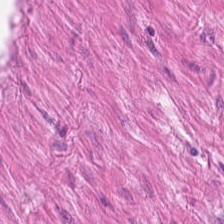H&E-stained section; the field shows muscularis.
